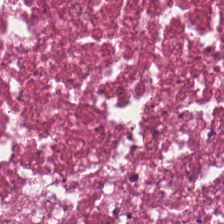Stain: H&E stain.
Tissue type: necrotic debris.
